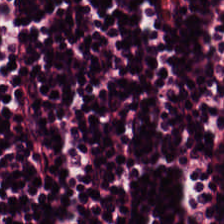Hematoxylin and eosin. Histology — lymphocytic infiltrate.
